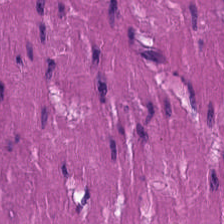Q: What is shown here?
A: This is smooth muscle.
